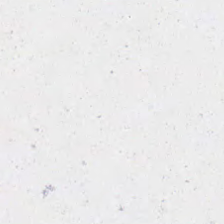H&E-stained tissue section. This patch shows empty background.
